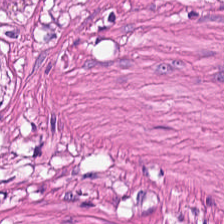Hematoxylin and eosin. 224×224 px tile. WSI patch.
Smooth-muscle tissue.
